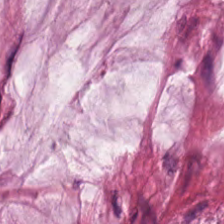Stain: H&E stain.
Tissue class: extracellular mucin.
